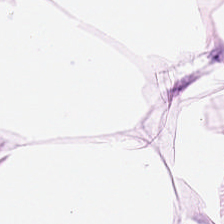Predominantly adipose tissue.
